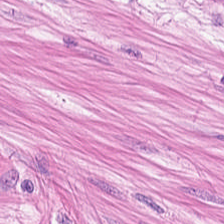Hematoxylin and eosin; whole-slide-image patch — Histology — smooth muscle.
